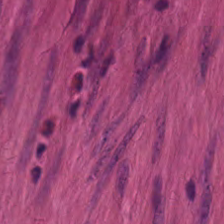224×224 px patch · H&E stain — Q: What type of tissue is this?
A: This is muscularis.
